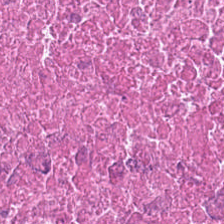224×224 pixel tile · hematoxylin and eosin.
Tissue class — debris.
